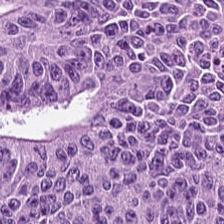Hematoxylin-and-eosin stained section; WSI patch; FFPE — Q: What does this patch show?
A: The field shows malignant epithelium.
